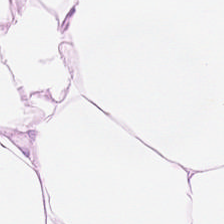Hematoxylin-and-eosin stained section · 224×224 px patch · formalin-fixed paraffin-embedded section. Q: What type of tissue is this?
A: The field shows adipocytes.
